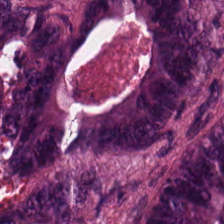H&E. Tissue class — adenocarcinoma.
